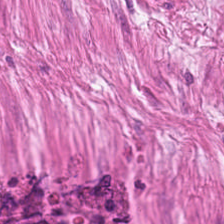Stain: H&E-stained tissue section.
Preparation: FFPE.
Tile size: 224×224 pixel tile.
Classification: smooth-muscle tissue.
